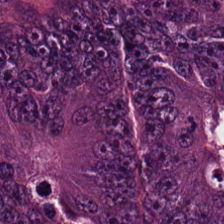Hematoxylin-and-eosin stained section; 224×224 px tile. Q: What tissue type is shown here?
A: It is adenocarcinoma.
